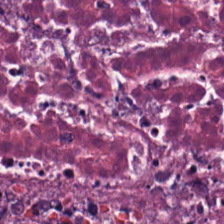The tissue is cellular debris.
